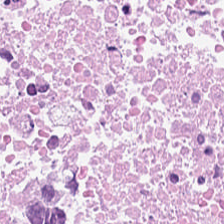Hematoxylin-and-eosin stained section.
The tissue here is necrotic debris.
